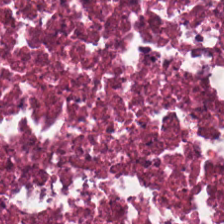0.5 µm per pixel · hematoxylin and eosin · 224×224 pixel tile. This field is cellular debris.
